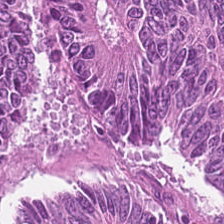H&E stain — The tissue class is colorectal adenocarcinoma.
